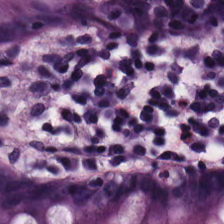Hematoxylin-and-eosin stained section.
Q: Classify this patch.
A: Non-neoplastic colon mucosa.
